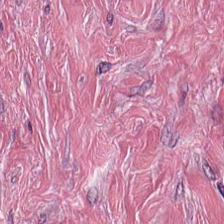224×224 px tile. Hematoxylin-and-eosin stained section — Q: What tissue type is shown here?
A: This is tumor-associated stroma.
